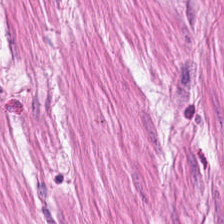H&E stain.
The tissue class is smooth-muscle tissue.
